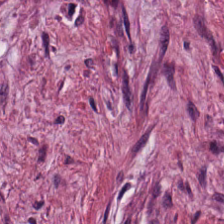H&E.
Tissue class: tumor-associated stroma.
